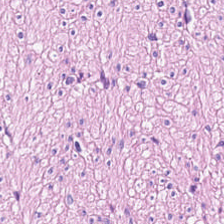H&E — smooth-muscle tissue.
